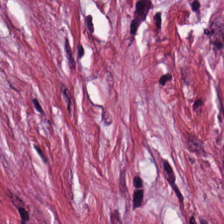H&E-stained tissue section. This field is tumor-associated stroma.
